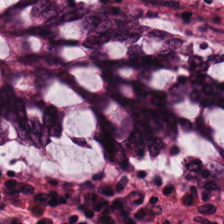Stain: H&E.
Predominant tissue: normal colonic mucosa.
